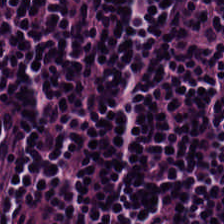0.5 µm per pixel; H&E — {"tissue_type": "lymphocytes"}
